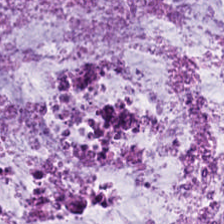H&E-stained tissue section — Q: Identify the tissue.
A: It is extracellular mucin.
